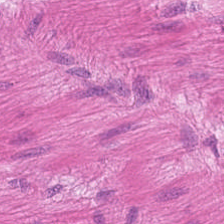H&E · FFPE tissue section.
Impression → smooth-muscle tissue.
